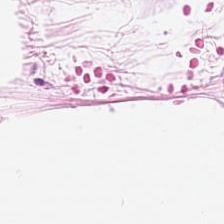H&E-stained tissue section · FFPE tissue section · WSI patch — Tissue = adipocytes.
